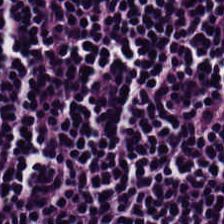Hematoxylin-and-eosin stained section.
Q: What does this patch show?
A: Lymphocyte aggregate.
